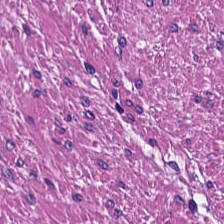H&E-stained tissue section.
Predominant tissue: smooth-muscle tissue.
